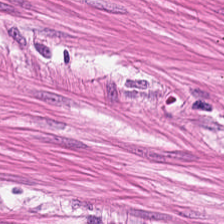0.5 µm/px · 224×224 pixel tile · hematoxylin-and-eosin stained section.
Q: What is shown in this field?
A: Muscularis.
